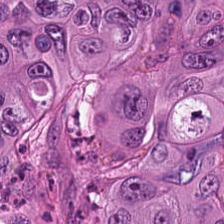Stain: H&E.
Acquisition: brightfield.
Classification: malignant epithelium.
